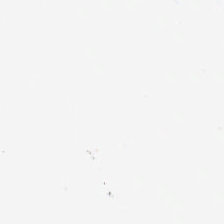224×224 px patch; 0.5 µm/px; hematoxylin-and-eosin stained section — Field content = no tissue.
